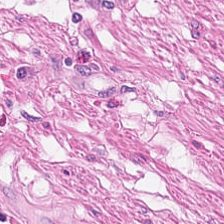The predominant tissue is muscularis.
